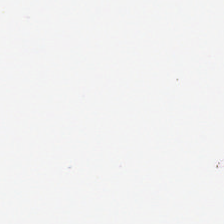Hematoxylin and eosin; formalin-fixed paraffin-embedded section. Content: background (no tissue).
